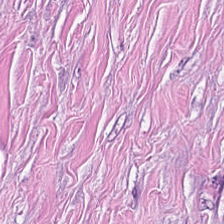Stain: hematoxylin and eosin.
Acquisition: brightfield microscopy.
Classification: tumor stroma.
